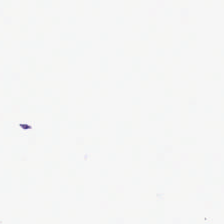No tissue.
